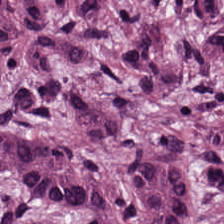Hematoxylin and eosin. Tissue type — colorectal adenocarcinoma epithelium.
